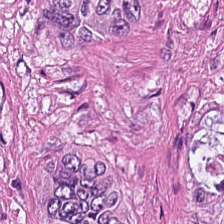H&E stain — Classification = colorectal adenocarcinoma.
